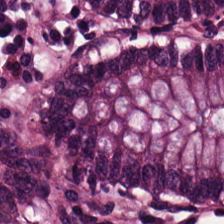Stain: H&E.
Tile size: 224×224 px patch.
Tissue type: normal colonic mucosa.
